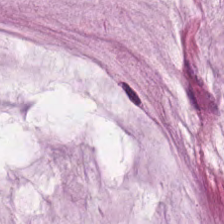Hematoxylin and eosin. {"tissue_type": "mucin"}
